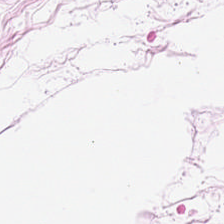Formalin-fixed paraffin-embedded section. 224×224 px tile. Hematoxylin-and-eosin stained section. Q: What is shown here?
A: It is adipose.
